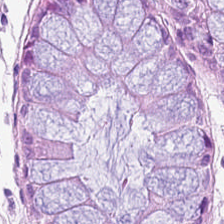Hematoxylin-and-eosin stained section — Q: What tissue type is shown here?
A: Normal colonic mucosa.
